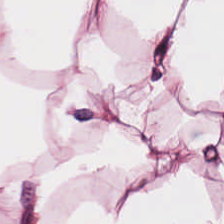Hematoxylin-and-eosin stained section. WSI patch. 0.5 µm/px. Classification: adipocytes.
